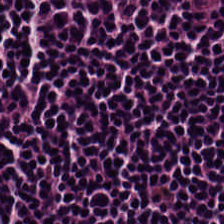H&E stain. Impression — lymphocyte aggregate.
